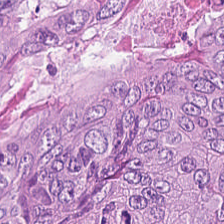Q: What is the predominant tissue type?
A: Colorectal adenocarcinoma.
